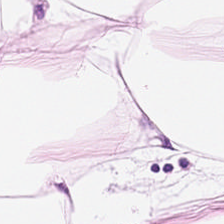Adipose tissue.
